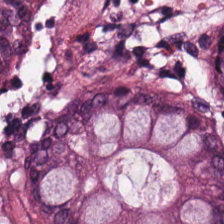Tissue type: benign colonic mucosa.
